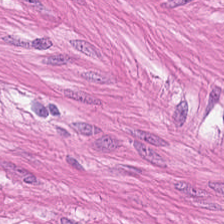H&E-stained tissue section.
Showing smooth muscle.
